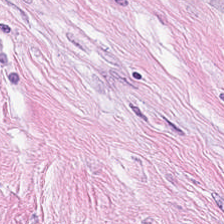Stain: hematoxylin-and-eosin stained section.
Tissue class: tumor-associated stroma.
